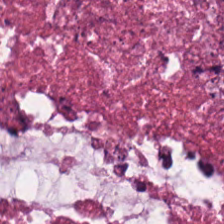FFPE tissue section; H&E.
Q: What tissue is shown?
A: The field shows debris.
